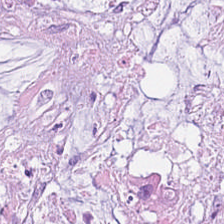Q: What does this patch show?
A: This is mucin.
